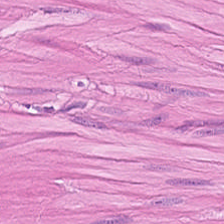WSI patch. Hematoxylin and eosin.
The classification is smooth muscle.
